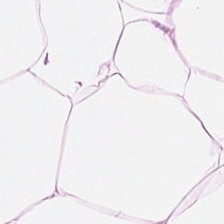H&E stain.
{"tissue_type": "adipocytes"}
